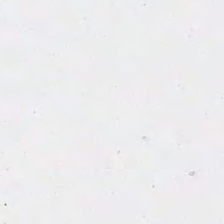H&E. Content — empty background.
